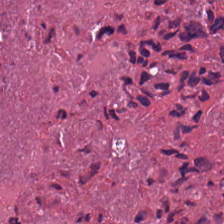0.5 µm per pixel; hematoxylin-and-eosin stained section — Q: What is the predominant tissue type?
A: The field shows cellular debris.
